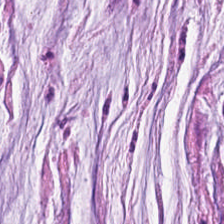H&E stain · brightfield microscopy — Showing mucin.
